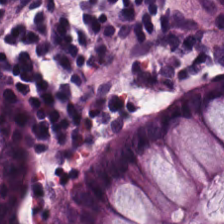H&E-stained tissue section; 224×224 pixel tile. The tissue is normal colonic mucosa.
